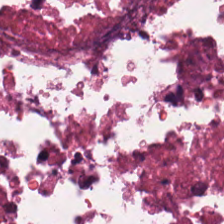Q: What is shown here?
A: It is cellular debris.
